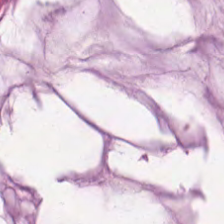Brightfield; H&E-stained tissue section.
Predominantly mucus.
